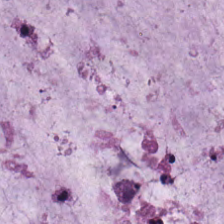Tissue — mucus.
